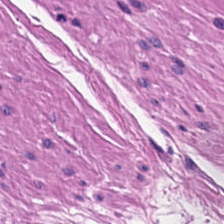Brightfield microscopy · H&E stain · 224×224 px patch. Q: Classify this patch.
A: The field shows smooth muscle.
